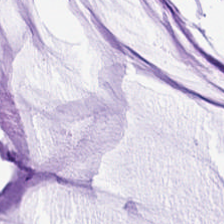H&E-stained tissue section. This field is mucus.
